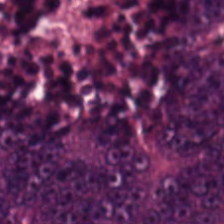Whole-slide-image patch. H&E stain — This patch shows colorectal adenocarcinoma epithelium.
